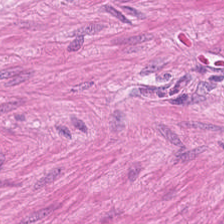Stain: hematoxylin-and-eosin stained section.
Resolution: 0.5 µm per pixel.
Acquisition: whole-slide-image patch.
Tissue: muscularis.
